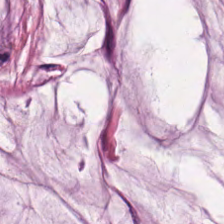H&E — mucus.
